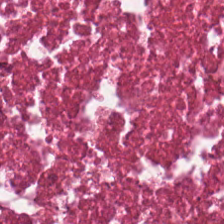Showing necrotic debris.
